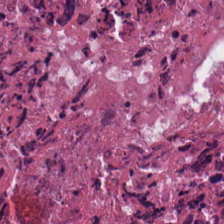H&E-stained tissue section; 0.5 µm per pixel. This field is cellular debris.
